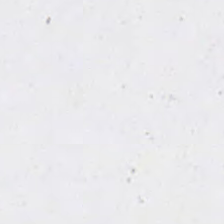Finding → background (no tissue).
